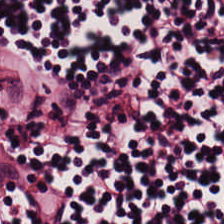Hematoxylin-and-eosin stained section — Predominant tissue — lymphoid infiltrate.
